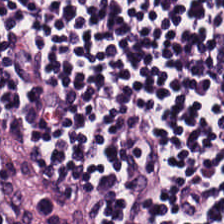FFPE tissue section · hematoxylin and eosin — Predominant tissue: lymphocytic infiltrate.
